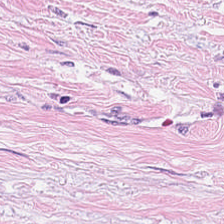H&E.
Q: What is the predominant tissue type?
A: It is cancer-associated stroma.
